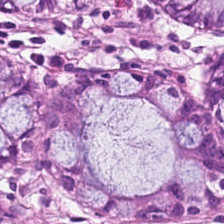H&E stain — Tissue class = normal colon mucosa.
